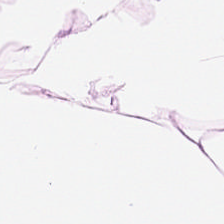224×224 px tile · H&E · 0.5 µm/px.
This field is adipose tissue.
